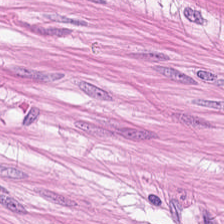H&E-stained tissue section showing smooth muscle.
